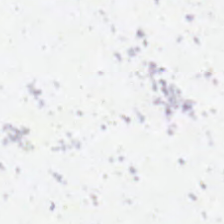H&E stain — Field content — empty background.
